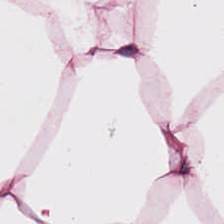224×224 px tile · H&E-stained tissue section — Histology — fat tissue.
